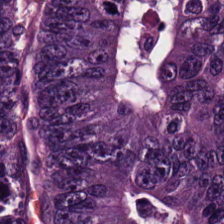Hematoxylin and eosin — This field is adenocarcinoma.
